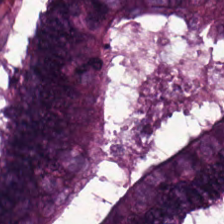H&E · brightfield microscopy.
Histology — colorectal adenocarcinoma.
